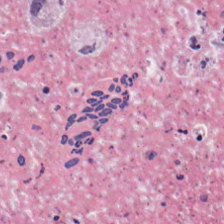H&E-stained tissue section · 224×224 pixel tile · brightfield.
Predominant tissue: debris.
